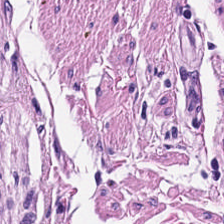0.5 µm per pixel. H&E-stained tissue section. FFPE.
{"tissue_type": "smooth-muscle tissue"}
